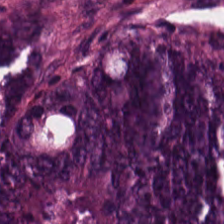Hematoxylin-and-eosin stained section.
The tissue here is tumor epithelium.
